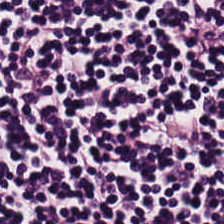224×224 px patch; H&E stain. Histology — lymphocytic infiltrate.
